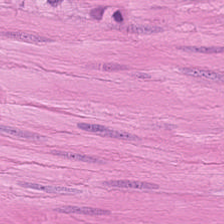224×224 px tile. H&E — Tissue type — muscularis.
